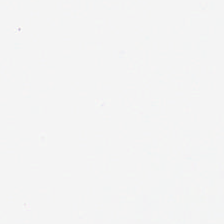Hematoxylin and eosin. Q: What does this patch show?
A: The field shows background (no tissue).
